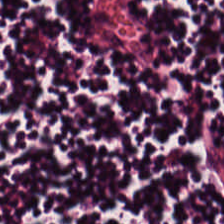The predominant tissue is lymphocytic infiltrate.
